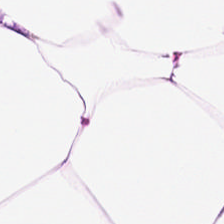0.5 microns per pixel. H&E. Fat tissue.
